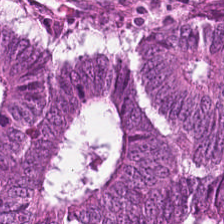FFPE. Hematoxylin and eosin. Q: Identify the tissue.
A: This is malignant epithelium.
